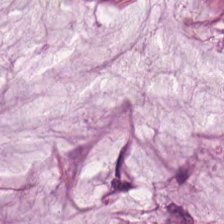20× equivalent magnification. Brightfield microscopy. Hematoxylin-and-eosin stained section. Predominantly mucus.
